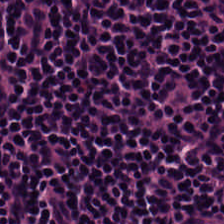224×224 pixel tile · H&E stain.
The classification is lymphocytes.
